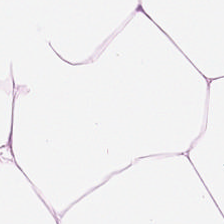H&E stain — Tissue — adipose tissue.
